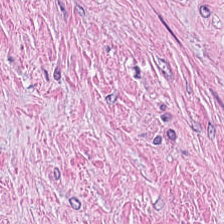Hematoxylin and eosin — Showing tumor-associated stroma.
